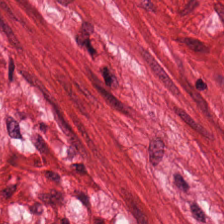Smooth muscle.
